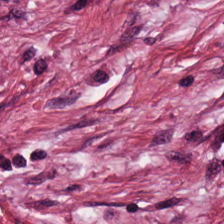H&E.
The predominant tissue is tumor-associated stroma.
